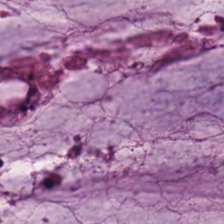0.5 µm per pixel · H&E-stained tissue section. Histology — mucus.
